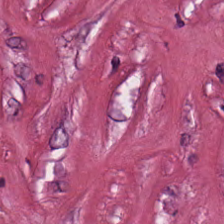H&E-stained tissue section — Desmoplastic stroma.
